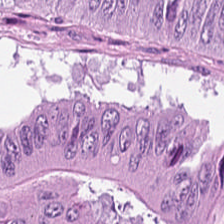0.5 µm/px · 224×224 px patch · hematoxylin-and-eosin stained section.
The predominant tissue is colorectal adenocarcinoma.
